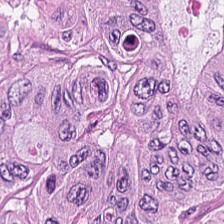0.5 µm per pixel; 224×224 px tile; hematoxylin-and-eosin stained section — The tissue here is colorectal adenocarcinoma epithelium.
